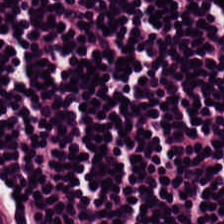Hematoxylin-and-eosin stained section.
The tissue type is lymphocyte aggregate.
